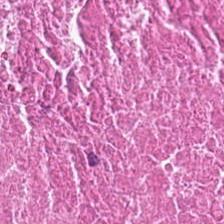Stain: H&E stain.
Preparation: FFPE.
Resolution: 0.5 µm/px.
Tissue: debris.
